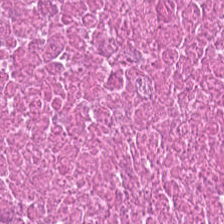0.5 µm/px · H&E-stained tissue section.
This patch shows cellular debris.
